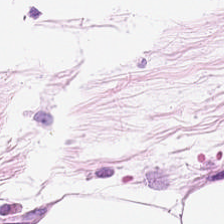Predominantly fat tissue.
